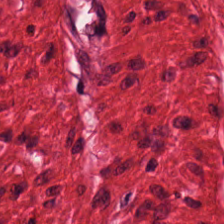Whole-slide-image patch. Hematoxylin-and-eosin stained section. Classification — smooth-muscle tissue.
